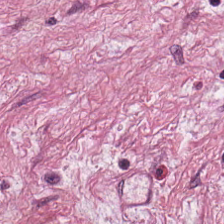Stain: H&E-stained tissue section.
Classification: tumor-associated stroma.
